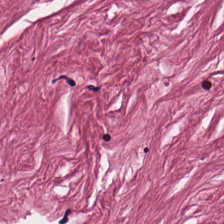0.5 microns per pixel; H&E-stained tissue section; 224×224 pixel tile — Tissue type — tumor-associated stroma.
